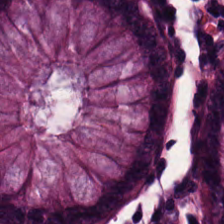Stain: hematoxylin-and-eosin stained section.
Predominant tissue: benign colonic mucosa.
